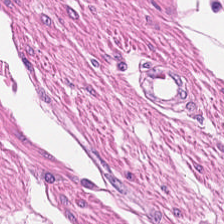H&E stain — {"tissue_type": "smooth muscle"}
